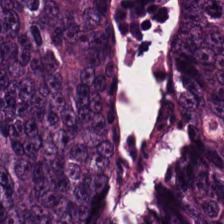Hematoxylin-and-eosin stained section. The predominant tissue is malignant epithelium.
